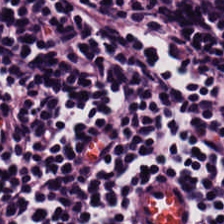Tissue class — lymphocytic infiltrate.
